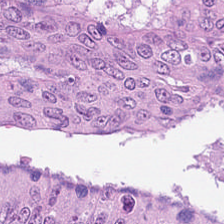H&E stain. This field is malignant epithelium.
